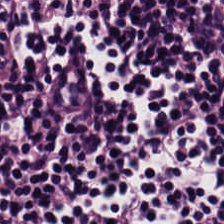H&E. Tissue type = lymphoid infiltrate.
